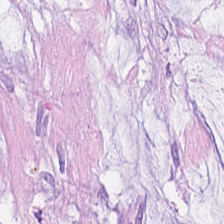H&E-stained section; the field shows extracellular mucin.
